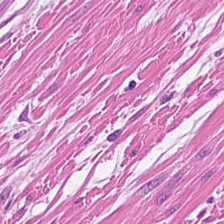224×224 pixel tile. H&E stain. FFPE tissue section — Classification — smooth-muscle tissue.
